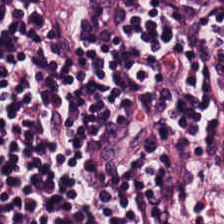FFPE tissue section · hematoxylin-and-eosin stained section. Showing lymphocytes.
